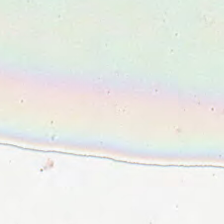WSI patch · hematoxylin and eosin. Finding → background.
